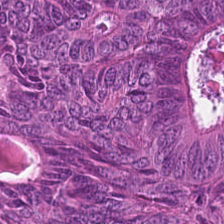Hematoxylin and eosin.
Tissue: colorectal adenocarcinoma.
